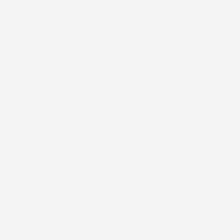FFPE; H&E stain; 0.5 µm per pixel. No tissue present; background only.
